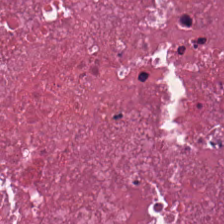H&E; WSI patch; 224×224 px patch — Q: What is shown in this field?
A: Cellular debris.
